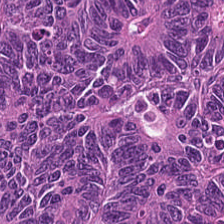Stain: hematoxylin and eosin.
Tissue: adenocarcinoma.
